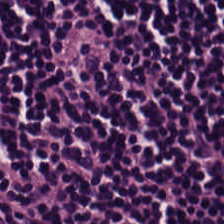Hematoxylin and eosin.
Classification: lymphocyte aggregate.
